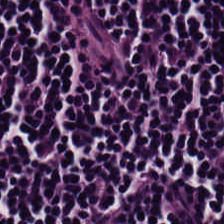Q: What is shown here?
A: This is lymphocytes.
